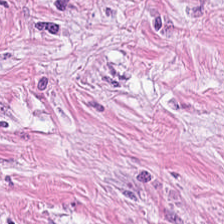FFPE · brightfield microscopy · hematoxylin and eosin — Q: What type of tissue is this?
A: Tumor-associated stroma.
